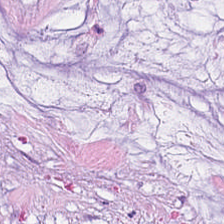FFPE; hematoxylin-and-eosin stained section. {"tissue_type": "mucus"}
